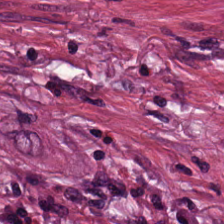H&E — {"tissue_type": "tumor-associated stroma"}
